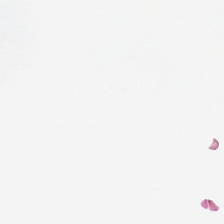H&E stain. Brightfield microscopy. Classification — no tissue.
